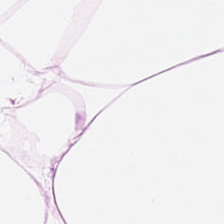This field is fat tissue.
